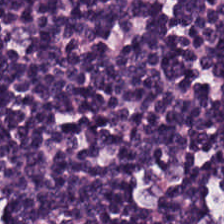H&E stain — The tissue class is lymphocyte aggregate.
